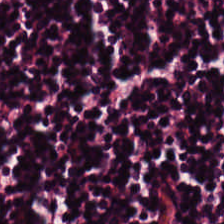H&E-stained tissue section; WSI patch; 0.5 µm per pixel. Q: What does this patch show?
A: Lymphocyte aggregate.
